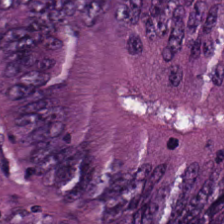Hematoxylin-and-eosin section: colorectal adenocarcinoma epithelium.
